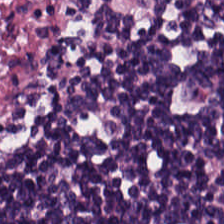Predominant tissue = lymphocytic infiltrate.
